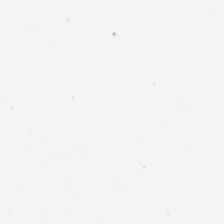H&E stain.
Q: What does this patch show?
A: The field shows background (no tissue).
